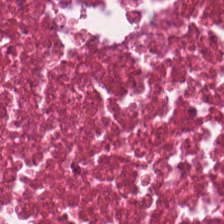Hematoxylin and eosin · 20× equivalent magnification.
Tissue: cellular debris.
